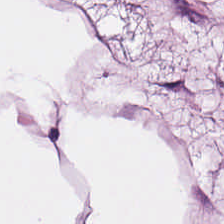H&E stain · 224×224 px patch — Showing adipose.
